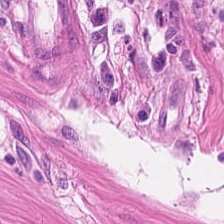H&E — This patch shows smooth-muscle tissue.
